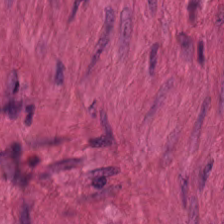WSI patch; H&E-stained tissue section. Finding — smooth muscle.
